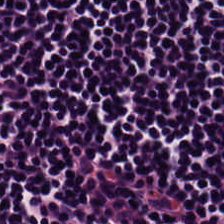H&E-stained tissue section. This field is lymphocytic infiltrate.
